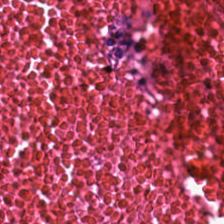H&E stain. Formalin-fixed paraffin-embedded section. 20× equivalent magnification — Impression — necrotic debris.
